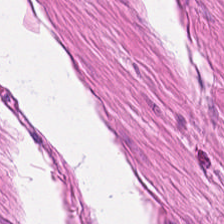Stain: hematoxylin-and-eosin stained section.
Preparation: FFPE tissue section.
Tile size: 224×224 px tile.
Tissue type: muscularis.
